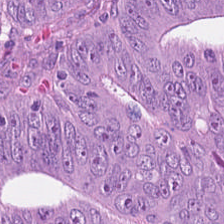Tissue class = colorectal adenocarcinoma epithelium.
